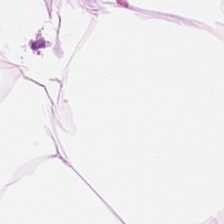Hematoxylin and eosin. Showing fat tissue.
